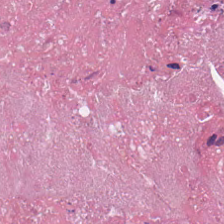H&E patch showing debris.
